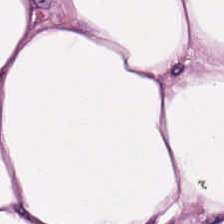Brightfield; hematoxylin and eosin. Predominantly adipose tissue.
